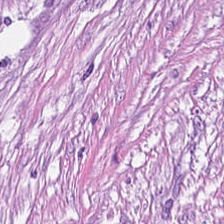H&E-stained tissue section; 224×224 px tile — Predominantly cancer-associated stroma.
